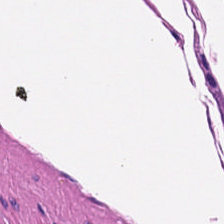224×224 pixel tile; hematoxylin and eosin. Predominantly smooth-muscle tissue.
